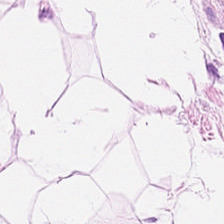Hematoxylin-and-eosin stained section. Finding — adipocytes.
